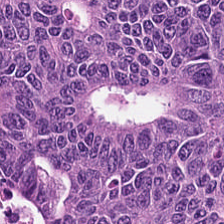H&E-stained tissue section.
Tissue class — colorectal adenocarcinoma.
